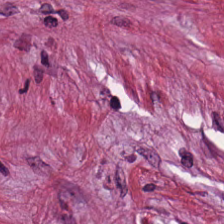H&E stain.
Q: What does this patch show?
A: This is tumor stroma.
